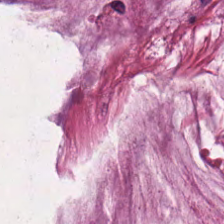Hematoxylin and eosin. Finding — extracellular mucin.
